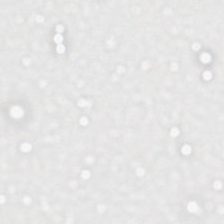This patch shows no tissue.
